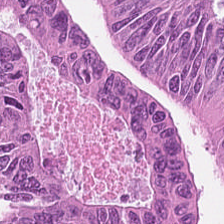H&E stain; 224×224 pixel tile; WSI patch.
Tumor epithelium.
